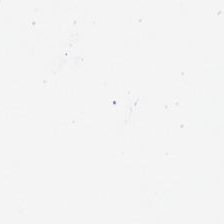Hematoxylin and eosin.
Q: What is shown in this field?
A: It is background (no tissue).
